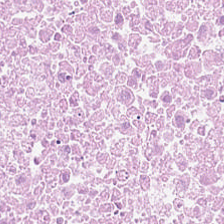H&E stain. FFPE tissue section.
Finding → necrotic debris.
